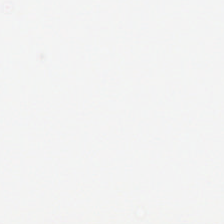Hematoxylin and eosin. Background — no tissue in this field.
